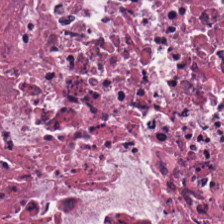Tissue = debris.
